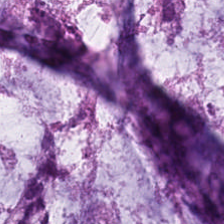Hematoxylin-and-eosin stained section. {"tissue_type": "extracellular mucin"}
